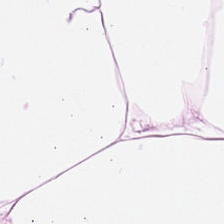H&E-stained tissue section. 224×224 px tile — Predominantly adipose.
